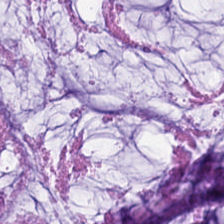H&E-stained tissue section. This patch shows extracellular mucin.
